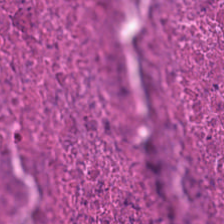Stain: H&E stain.
Classification: debris.
